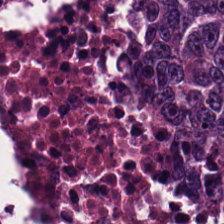{"tissue_type": "malignant epithelium"}
